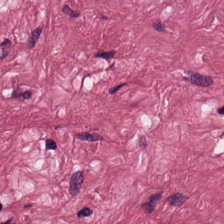H&E stain. Showing cancer-associated stroma.
